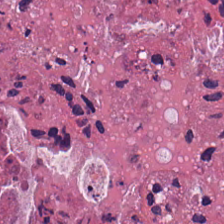FFPE · 224×224 px patch · hematoxylin and eosin. Tissue — cellular debris.
